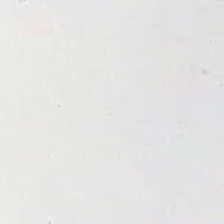Hematoxylin-and-eosin stained section.
No tissue present; background only.
